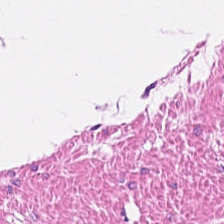Hematoxylin-and-eosin stained section. 20× equivalent magnification.
The predominant tissue is muscularis.
